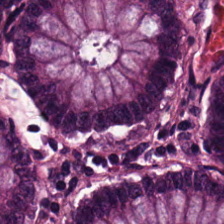H&E. 224×224 pixel tile.
Finding → non-neoplastic colon mucosa.
